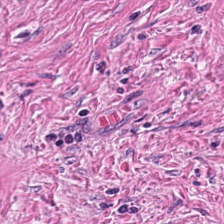Hematoxylin-and-eosin stained section; 224×224 pixel tile. Histology → desmoplastic stroma.
